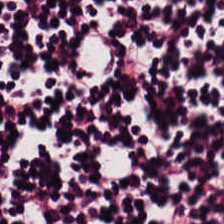Hematoxylin and eosin.
Q: What tissue type is shown here?
A: The field shows lymphocytic infiltrate.
